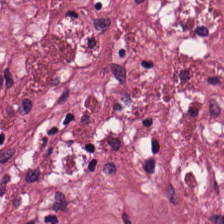H&E stain — Classification: cancer-associated stroma.
